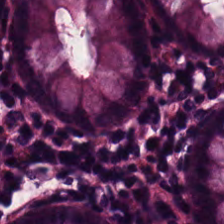H&E stain. Predominantly non-neoplastic colon mucosa.
